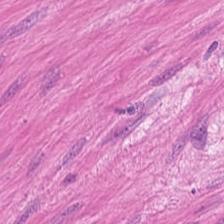Formalin-fixed paraffin-embedded section · H&E-stained tissue section. Muscularis.
